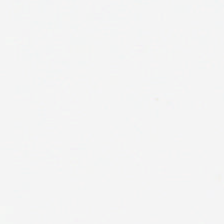H&E. Background — no tissue in this field.
